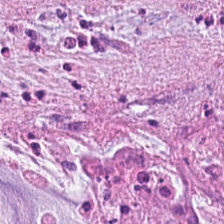Brightfield microscopy; hematoxylin and eosin — Tissue type — extracellular mucin.
